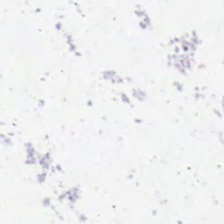Hematoxylin-and-eosin stained section. FFPE. {"content": "no tissue"}
